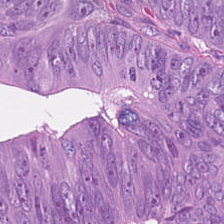Hematoxylin-and-eosin stained section · brightfield microscopy. Impression → colorectal adenocarcinoma.
